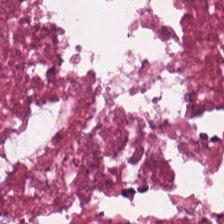Tissue type = debris.
